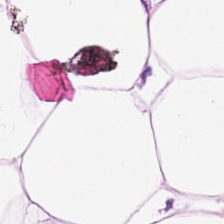H&E-stained section; the field shows fat tissue.
